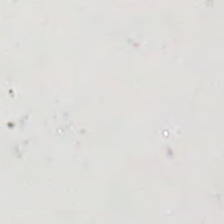0.5 µm per pixel. Brightfield microscopy. H&E — Finding — background (no tissue).
